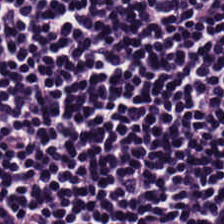Hematoxylin-and-eosin stained section — Tissue type = lymphocytes.
